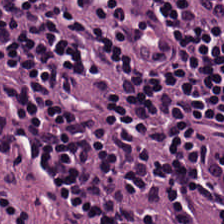H&E stain — Tissue — lymphoid infiltrate.
